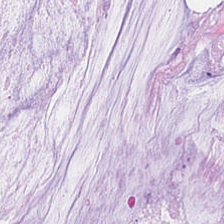Hematoxylin-and-eosin stained section — Histology — mucus.
